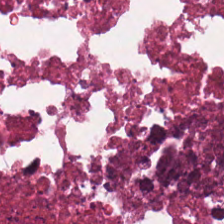H&E. This field is cellular debris.
